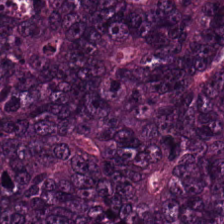0.5 µm per pixel · hematoxylin-and-eosin stained section — Tumor epithelium.
